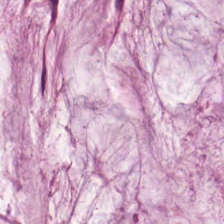Hematoxylin and eosin.
Q: What tissue is shown?
A: It is mucin.
